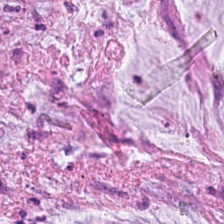The tissue class is mucin.
